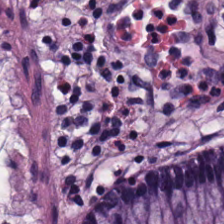H&E-stained section; the field shows normal colonic mucosa.
